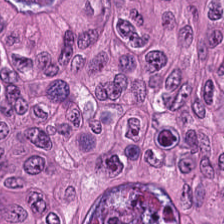Hematoxylin and eosin — The predominant tissue is colorectal adenocarcinoma.
